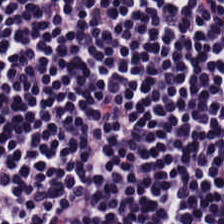FFPE · H&E · 0.5 µm per pixel. This field is lymphocytic infiltrate.
